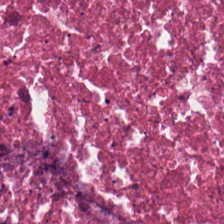Hematoxylin and eosin.
Predominant tissue — necrotic debris.
